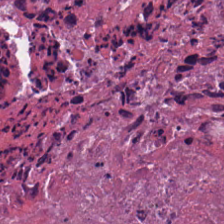Hematoxylin and eosin. Q: What does this patch show?
A: Necrotic debris.
